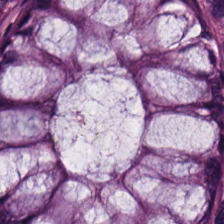This patch shows benign colonic mucosa.
